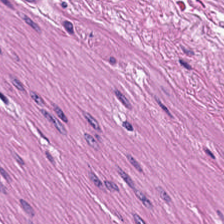FFPE tissue section; 20× equivalent magnification; hematoxylin-and-eosin stained section — Predominantly muscularis.
